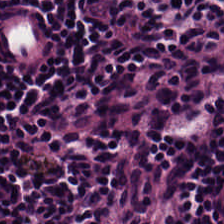Hematoxylin-and-eosin stained section — Tissue class — lymphoid infiltrate.
